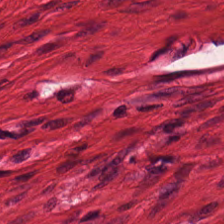Hematoxylin and eosin.
The tissue is smooth-muscle tissue.
